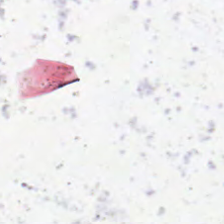Hematoxylin and eosin — Empty background.
